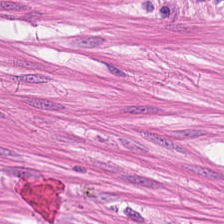This field is muscularis.
